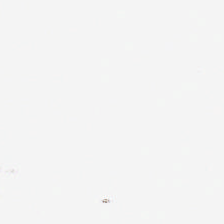H&E-stained tissue section. {"content": "no tissue"}
